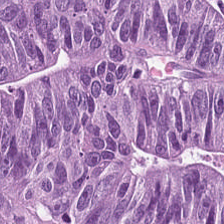H&E-stained tissue section. Q: What is shown in this field?
A: The field shows malignant epithelium.
